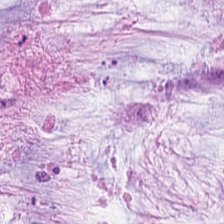Hematoxylin-and-eosin stained section.
Tissue class — mucin.
